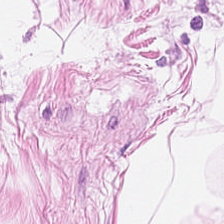0.5 µm per pixel; 224×224 pixel tile; H&E.
The classification is fat tissue.
